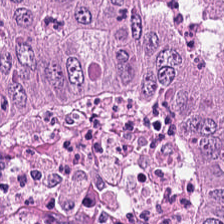H&E-stained tissue section — Tissue class — malignant epithelium.
